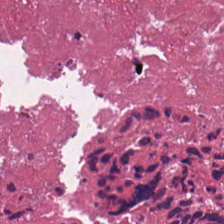Hematoxylin and eosin — The predominant tissue is debris.
